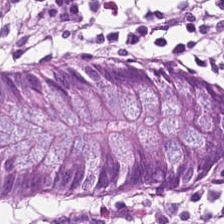Whole-slide-image patch. Hematoxylin-and-eosin stained section — Q: What type of tissue is this?
A: The field shows normal colon mucosa.
